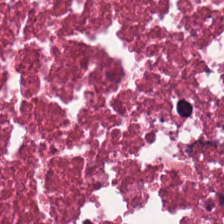Histology — necrotic debris.
